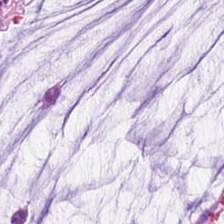FFPE. H&E-stained tissue section. This field is mucus.
